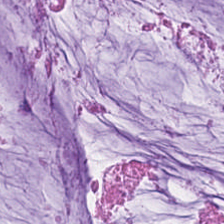H&E. Mucus.
